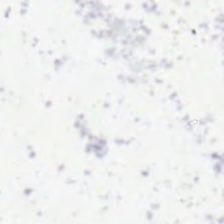This field is background (no tissue).
